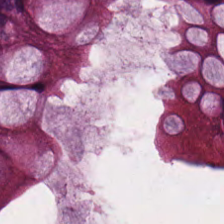Brightfield microscopy; H&E-stained tissue section. Classification: normal colon mucosa.
